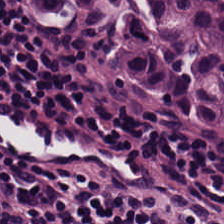The predominant tissue is lymphocytic infiltrate.
